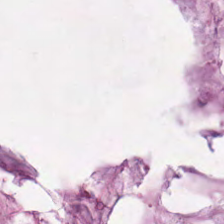Classification — extracellular mucin.
